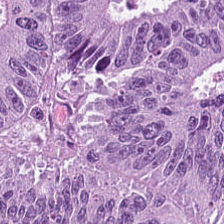Stain: H&E-stained tissue section.
Preparation: formalin-fixed paraffin-embedded section.
Tissue type: tumor epithelium.
